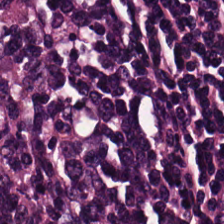H&E-stained tissue section. Lymphocytic infiltrate.
